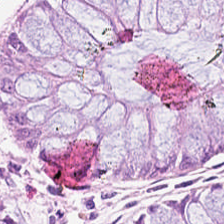H&E stain.
Normal colon mucosa.
